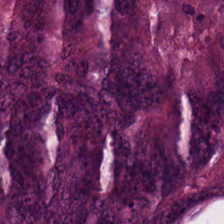Tissue type — malignant epithelium.
